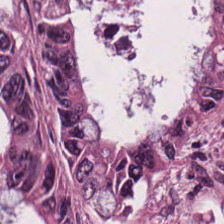Brightfield. Hematoxylin-and-eosin stained section. This field is adenocarcinoma.
